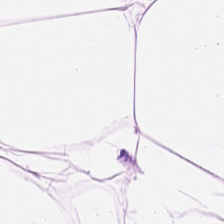H&E-stained tissue section; brightfield microscopy. Predominant tissue: adipose tissue.
